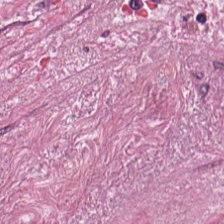H&E; brightfield; 224×224 pixel tile — Finding — desmoplastic stroma.
